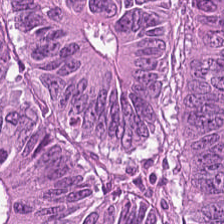Whole-slide-image patch · H&E stain · 0.5 microns per pixel. This patch shows colorectal adenocarcinoma.
